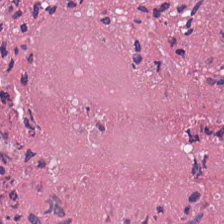H&E — Predominant tissue = debris.
